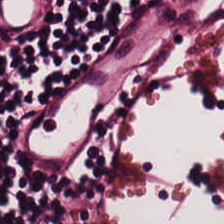0.5 µm per pixel; FFPE tissue section; H&E stain. The tissue here is lymphocytic infiltrate.
